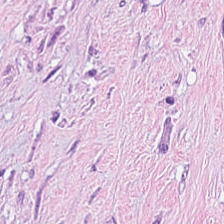Hematoxylin and eosin. 20× equivalent magnification. 224×224 pixel tile — Predominant tissue — cancer-associated stroma.
